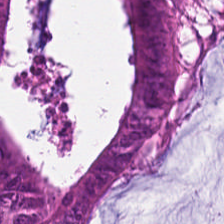224×224 pixel tile · H&E stain · FFPE tissue section — Q: What tissue is shown?
A: It is tumor epithelium.
